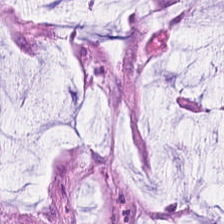H&E-stained tissue section · 0.5 microns per pixel.
{"tissue_type": "extracellular mucin"}
